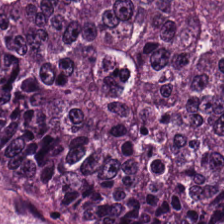H&E.
The tissue here is colorectal adenocarcinoma epithelium.
